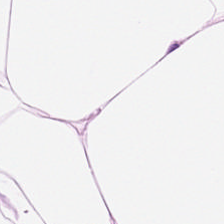Hematoxylin-and-eosin stained section. The classification is adipocytes.
